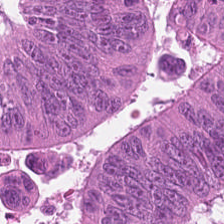H&E-stained section; the field shows adenocarcinoma.
